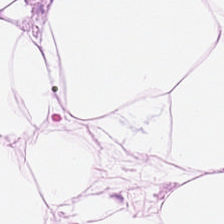H&E-stained tissue section; whole-slide-image patch; FFPE tissue section. Fat tissue.
